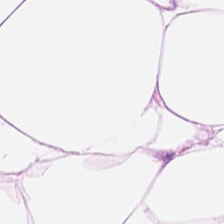H&E stain — This patch shows adipose tissue.
